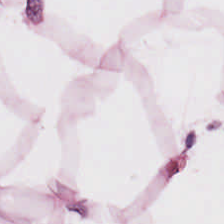Whole-slide-image patch · H&E stain.
Q: What is the predominant tissue type?
A: The field shows adipose tissue.
